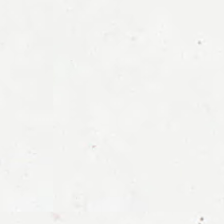224×224 px tile. H&E stain.
Classification: empty background.
